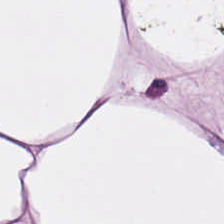Hematoxylin-and-eosin stained section.
Impression — adipose.
